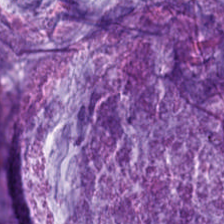Finding → mucus.
